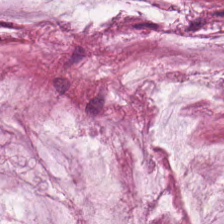Hematoxylin-and-eosin stained section.
This patch shows mucin.
